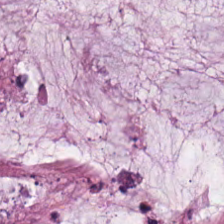The tissue is mucus.
